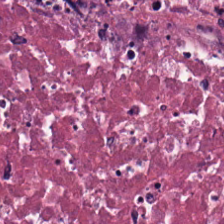Hematoxylin and eosin. This field is debris.
